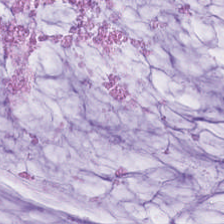Whole-slide-image patch; H&E stain — This patch shows mucin.
